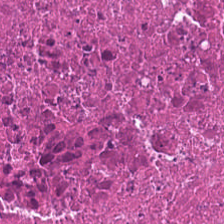Hematoxylin and eosin.
Finding — necrotic debris.
